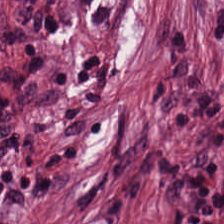H&E — The predominant tissue is cancer-associated stroma.
